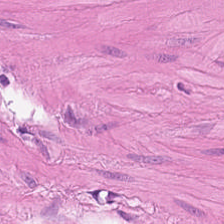H&E — smooth-muscle tissue.
